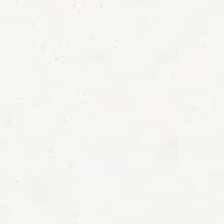224×224 px tile; hematoxylin-and-eosin stained section — Empty field — background (no tissue).
